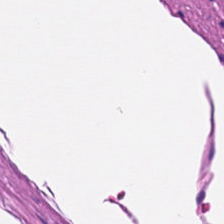224×224 pixel tile; hematoxylin and eosin; 20× equivalent magnification — The tissue here is muscularis.
